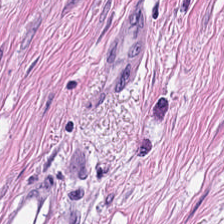Classification: muscularis.
